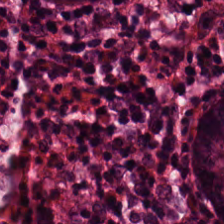Predominant tissue — non-neoplastic colon mucosa.
